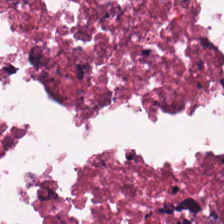Hematoxylin-and-eosin stained section.
{"tissue_type": "debris"}
